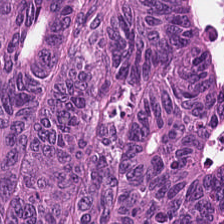FFPE tissue section. Brightfield microscopy. Hematoxylin-and-eosin stained section.
The tissue here is malignant epithelium.
